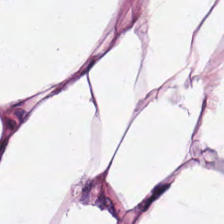H&E-stained section; the field shows fat tissue.
